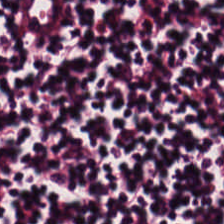Brightfield. 224×224 px tile. H&E. Showing lymphoid infiltrate.
